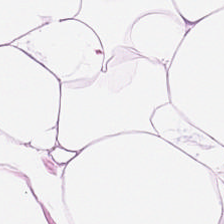Stain: hematoxylin-and-eosin stained section.
Resolution: 0.5 µm/px.
Preparation: FFPE.
Tissue class: adipose.
